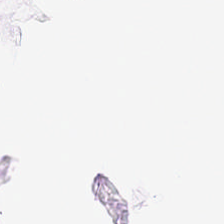H&E stain.
Impression → background (no tissue).
